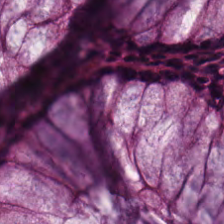Stain: H&E stain.
Tissue class: normal colon mucosa.
